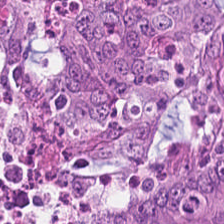H&E-stained tissue section; 0.5 microns per pixel; formalin-fixed paraffin-embedded section. Colorectal adenocarcinoma epithelium.
